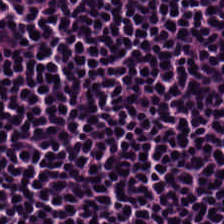Q: What tissue type is shown here?
A: The field shows lymphocytic infiltrate.
